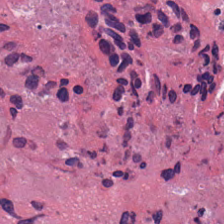WSI patch · 224×224 px tile · hematoxylin and eosin.
Showing debris.
